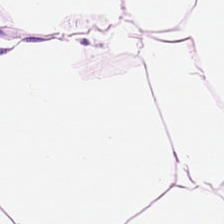Q: What is shown in this field?
A: It is adipose.
